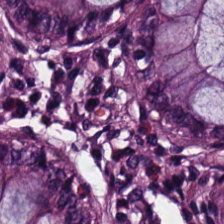FFPE. H&E. The tissue class is benign colonic mucosa.
